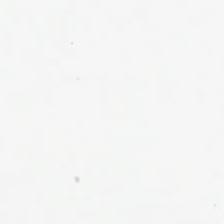H&E · 224×224 px tile.
Field content = no tissue.
